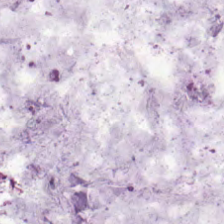Stain: hematoxylin-and-eosin stained section.
Tile size: 224×224 pixel tile.
Tissue: mucus.
